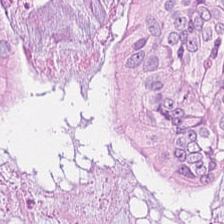The tissue class is tumor epithelium.
